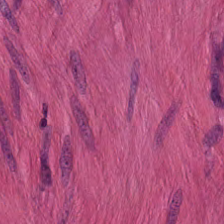H&E-stained tissue section.
{"tissue_type": "smooth-muscle tissue"}
